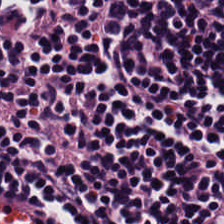The tissue type is lymphocytic infiltrate.
